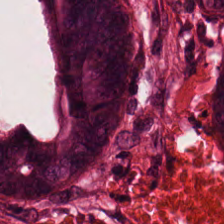Hematoxylin-and-eosin stained section. The predominant tissue is adenocarcinoma.
